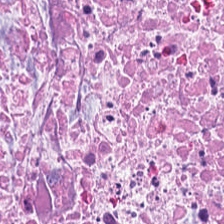H&E. {"tissue_type": "cellular debris"}
